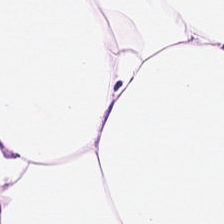FFPE tissue section; hematoxylin and eosin.
This field is adipose tissue.
